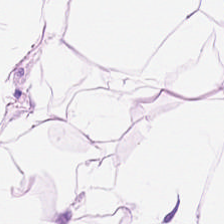Histology — fat tissue.
